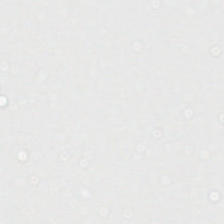H&E. FFPE. Background — no tissue in this field.
